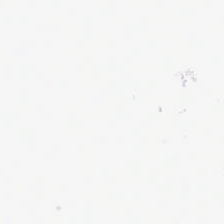FFPE · H&E-stained tissue section — Field content = background (no tissue).
